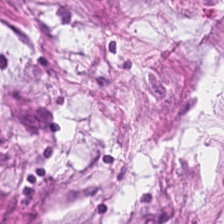Hematoxylin-and-eosin stained section. Q: What is the predominant tissue type?
A: This is tumor-associated stroma.
